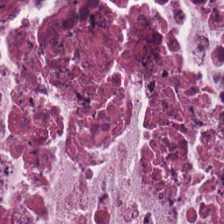H&E. Predominant tissue: debris.
